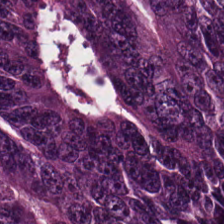Hematoxylin and eosin — The tissue here is colorectal adenocarcinoma.
